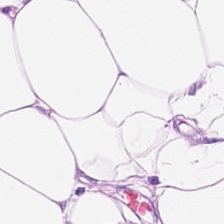Hematoxylin-and-eosin stained section.
Predominantly adipose.
